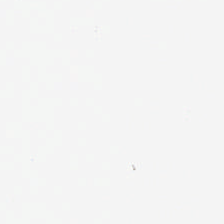Classification = background.
